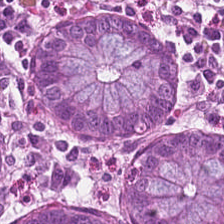Hematoxylin-and-eosin stained section. This field is non-neoplastic colon mucosa.
